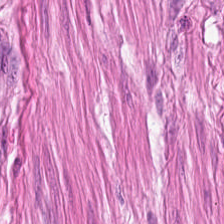H&E — smooth-muscle tissue.
